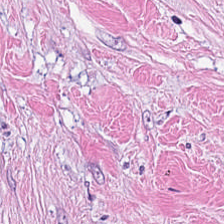Hematoxylin and eosin — Tissue = cancer-associated stroma.
